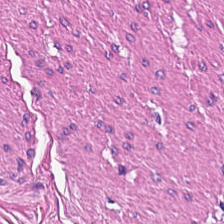Hematoxylin and eosin.
Classification: smooth-muscle tissue.
